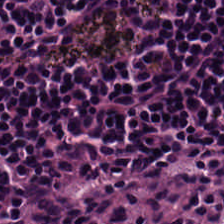Hematoxylin-and-eosin stained section. Lymphocyte aggregate.
